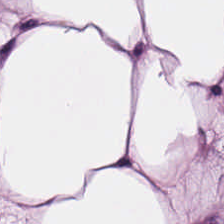Showing adipocytes.
